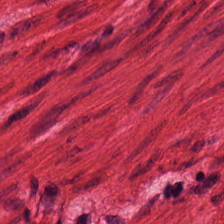H&E-stained tissue section — Smooth muscle.
